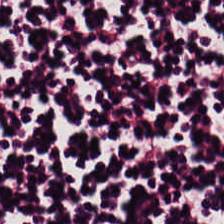H&E — Tissue type = lymphoid infiltrate.
